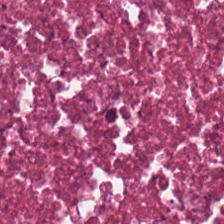H&E — This patch shows necrotic debris.
